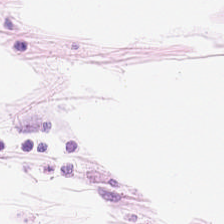H&E-stained tissue section. Q: What tissue is shown?
A: This is fat tissue.
